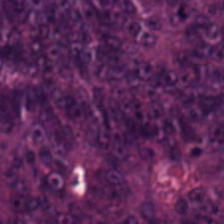WSI patch · H&E. {"tissue_type": "tumor epithelium"}
